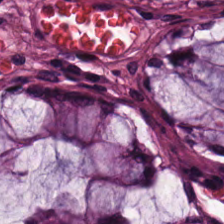224×224 px patch. H&E — Non-neoplastic colon mucosa.
